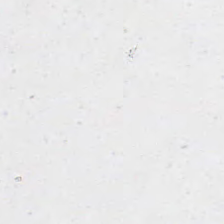{"content": "empty background"}
